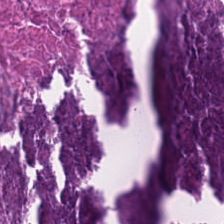WSI patch. Hematoxylin-and-eosin stained section — The tissue type is necrotic debris.
